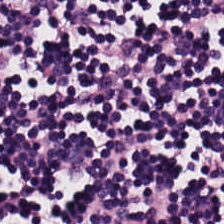Tissue class: lymphocytes.
